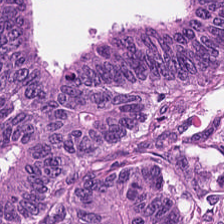This field is tumor epithelium.
